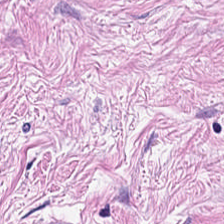Hematoxylin-and-eosin stained section. 224×224 px patch. Q: What type of tissue is this?
A: It is desmoplastic stroma.
